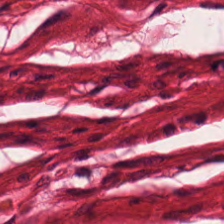0.5 µm per pixel. WSI patch. Hematoxylin-and-eosin stained section. The predominant tissue is smooth muscle.
